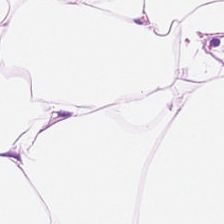Stain: H&E stain.
Predominant tissue: adipose.
